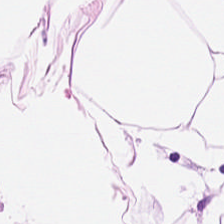Stain: hematoxylin-and-eosin stained section.
Tissue: fat tissue.
